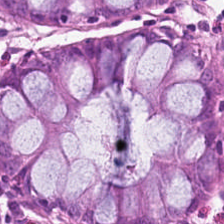Showing normal colonic mucosa.
